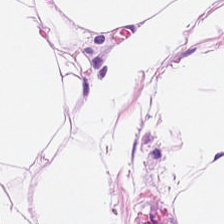224×224 px tile. Hematoxylin-and-eosin stained section — The tissue is adipocytes.
